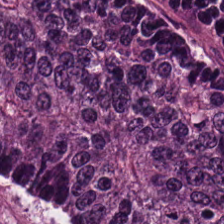Hematoxylin and eosin. The tissue here is adenocarcinoma.
